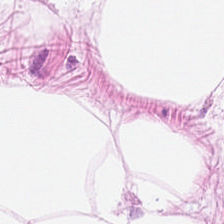0.5 µm per pixel; 224×224 px patch; H&E-stained tissue section.
Adipose tissue.
